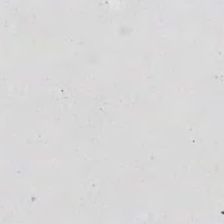H&E stain · 224×224 px tile · 0.5 µm per pixel. Q: What is shown in this field?
A: The field shows background.
